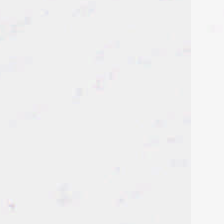FFPE · H&E — Q: Classify this patch.
A: This is empty background.
